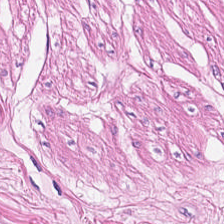WSI patch; hematoxylin-and-eosin stained section. Finding — muscularis.
